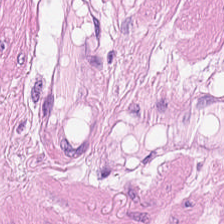Brightfield; hematoxylin and eosin; 224×224 px tile. The tissue here is muscularis.
